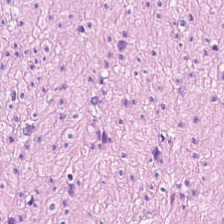FFPE. Hematoxylin-and-eosin stained section. 224×224 pixel tile.
This patch shows smooth-muscle tissue.
